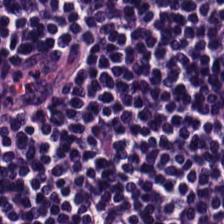224×224 pixel tile; hematoxylin and eosin. Showing lymphoid infiltrate.
